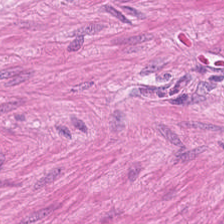H&E stain. Tissue: smooth-muscle tissue.
